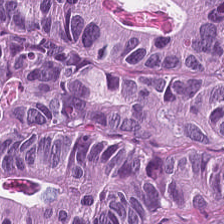Stain: H&E-stained tissue section.
Tissue class: malignant epithelium.
